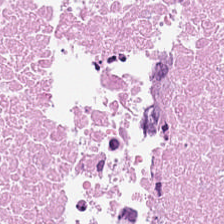The predominant tissue is debris.
